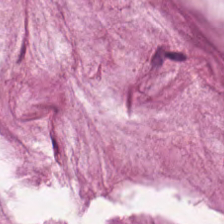Tissue type: extracellular mucin.
